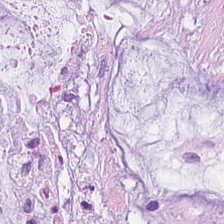H&E. Q: Classify this patch.
A: Mucus.
